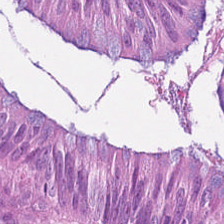FFPE tissue section. Hematoxylin and eosin. 0.5 µm/px.
Finding → malignant epithelium.
